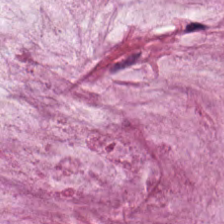Hematoxylin-and-eosin stained section.
The tissue here is mucus.
